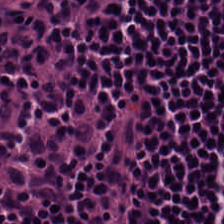Stain: H&E stain.
Classification: lymphocytes.
